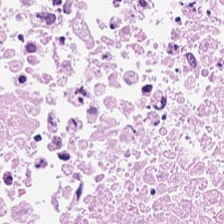Tissue class = necrotic debris.
